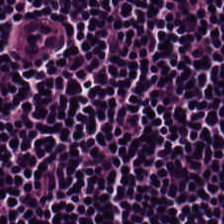Predominant tissue = lymphocytic infiltrate.
